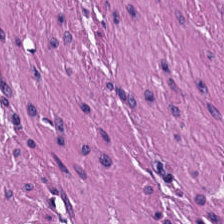Stain: hematoxylin and eosin.
Classification: smooth muscle.
